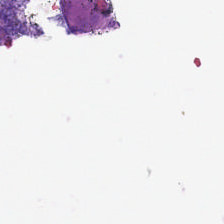Empty field — background (no tissue).
